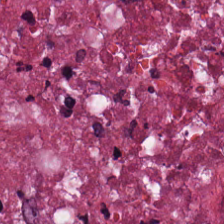224×224 px tile · FFPE · hematoxylin and eosin.
Tissue type — necrotic debris.
